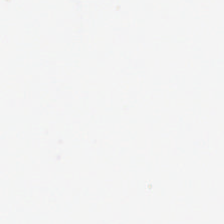224×224 pixel tile. Hematoxylin and eosin.
No tissue present; background only.
